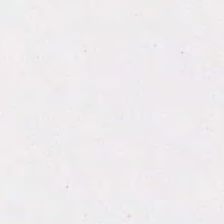This patch shows no tissue.
